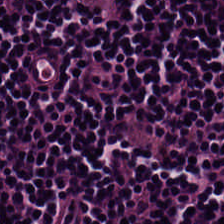Predominant tissue — lymphocytes.
